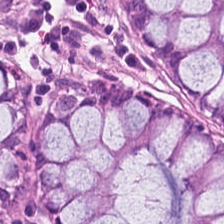Finding → benign colonic mucosa.
